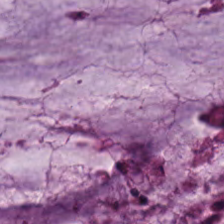FFPE tissue section · hematoxylin-and-eosin stained section. Q: What tissue type is shown here?
A: Extracellular mucin.
